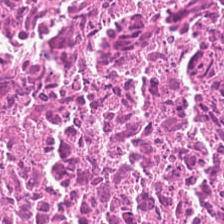Stain: H&E-stained tissue section.
Resolution: 20× equivalent magnification.
Classification: debris.
